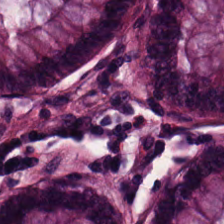H&E; 224×224 pixel tile; 0.5 µm per pixel. Tissue type — benign colonic mucosa.
